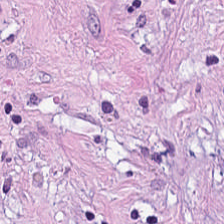H&E-stained tissue section; FFPE tissue section; 0.5 µm per pixel.
This patch shows desmoplastic stroma.
